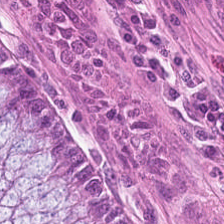Hematoxylin-and-eosin stained section; 224×224 px patch; 0.5 µm per pixel.
Normal colonic mucosa.
